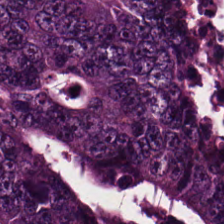H&E-stained tissue section.
Q: What is shown here?
A: This is malignant epithelium.
